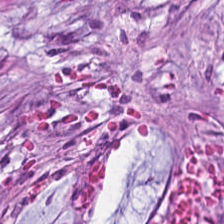FFPE tissue section. Hematoxylin and eosin.
Tumor stroma.
